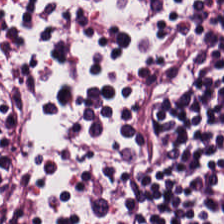H&E-stained tissue section · brightfield. Histology → lymphocyte aggregate.
